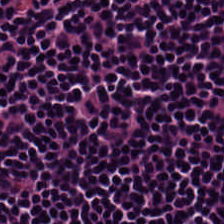H&E stain.
Classification: lymphocytic infiltrate.
